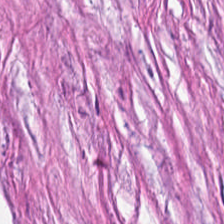H&E-stained tissue section — Tissue = tumor-associated stroma.
